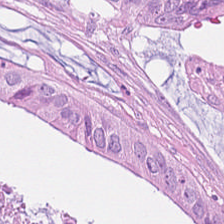Hematoxylin and eosin.
Impression — malignant epithelium.
